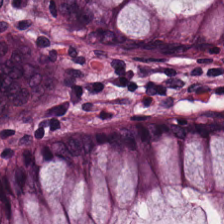H&E-stained tissue section · 224×224 px tile · 20× equivalent magnification.
Tissue type: normal colon mucosa.
